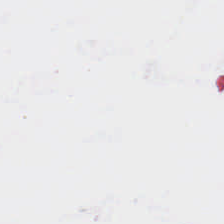Hematoxylin-and-eosin stained section.
Background — no tissue in this field.
